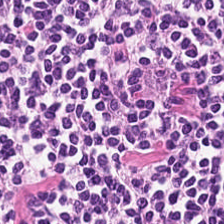Hematoxylin and eosin.
Showing lymphoid infiltrate.
